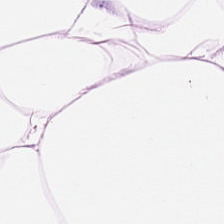H&E-stained tissue section.
Q: What is shown here?
A: This is adipocytes.
